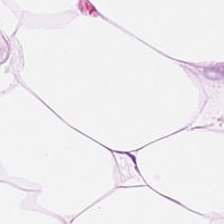H&E stain.
The classification is adipocytes.
